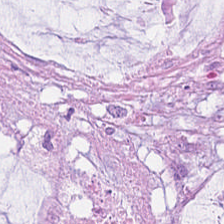H&E. FFPE tissue section. Predominantly mucin.
